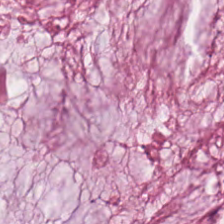Tissue class = extracellular mucin.
